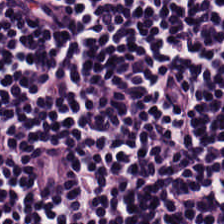H&E-stained tissue section; WSI patch. Finding — lymphocytes.
